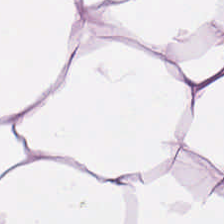H&E.
Adipose tissue.
